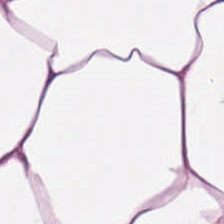Hematoxylin and eosin — Classification — adipose.
